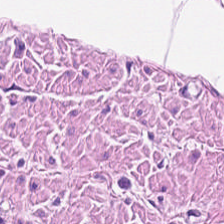H&E-stained section; the field shows muscularis.
